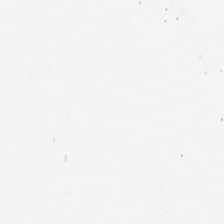WSI patch. 224×224 pixel tile. H&E — {"content": "background"}
